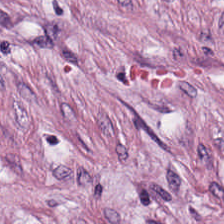Hematoxylin-and-eosin stained section; 20× equivalent magnification — Finding → desmoplastic stroma.
